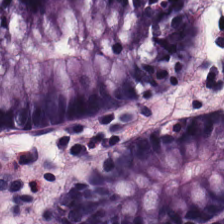Stain: H&E stain.
Preparation: formalin-fixed paraffin-embedded section.
Predominant tissue: benign colonic mucosa.
